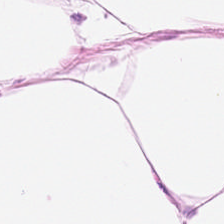H&E stain.
This patch shows adipose tissue.
